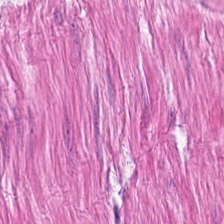FFPE; hematoxylin and eosin — Predominantly muscularis.
